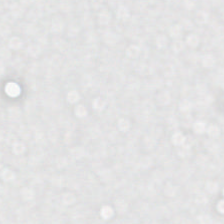No tissue present; background only.
